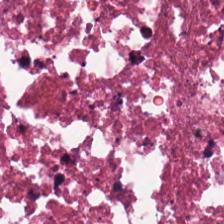WSI patch; hematoxylin-and-eosin stained section — Finding → debris.
